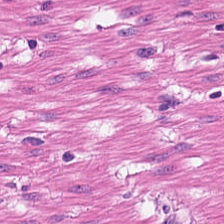Predominantly smooth muscle.
